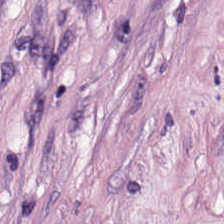H&E stain.
Q: Identify the tissue.
A: It is cancer-associated stroma.
